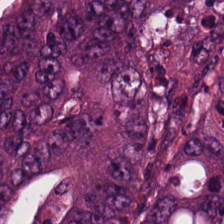H&E-stained tissue section; 0.5 µm/px.
Classification: colorectal adenocarcinoma epithelium.
